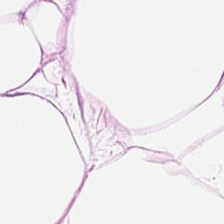Tissue class — adipose.
